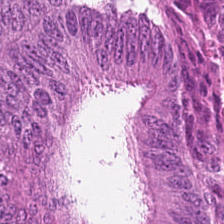Q: Identify the tissue.
A: It is malignant epithelium.
